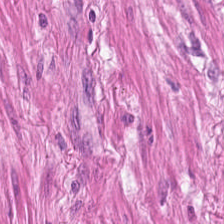H&E-stained section; the field shows smooth muscle.
